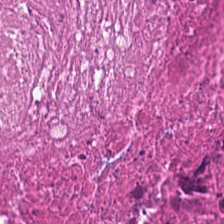Stain: H&E-stained tissue section.
Predominant tissue: debris.
